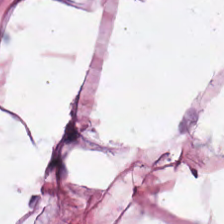Stain: H&E stain.
Tissue: adipocytes.
